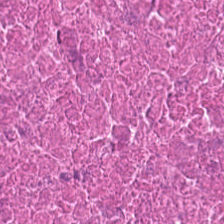H&E — Q: What is shown here?
A: Debris.
